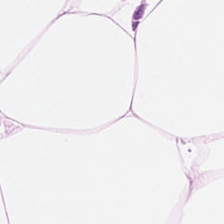Stain: H&E-stained tissue section.
Preparation: FFPE tissue section.
Predominant tissue: fat tissue.
